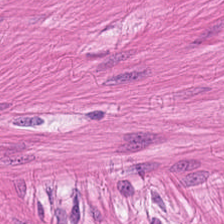Hematoxylin-and-eosin stained section.
Tissue type — muscularis.
